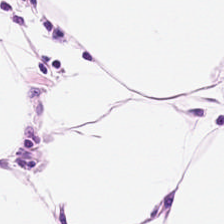224×224 px tile · H&E.
Predominantly adipose tissue.
